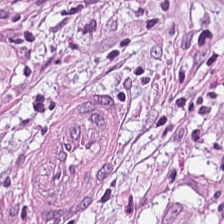Tissue class — cancer-associated stroma.
